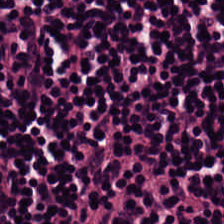Hematoxylin and eosin. Whole-slide-image patch.
The tissue type is lymphoid infiltrate.
